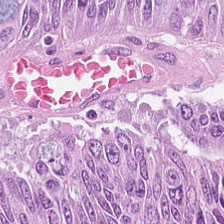224×224 px tile; hematoxylin and eosin; FFPE tissue section.
The tissue is colorectal adenocarcinoma epithelium.
